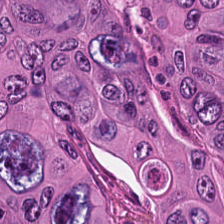Brightfield; formalin-fixed paraffin-embedded section; H&E stain.
Tissue class — malignant epithelium.
